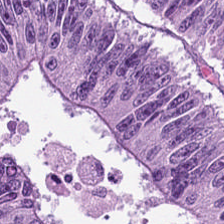Stain: H&E stain.
Tissue class: colorectal adenocarcinoma.
